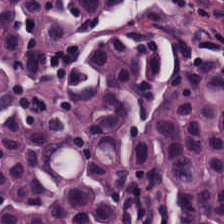Q: What is shown in this field?
A: The field shows lymphocytes.
